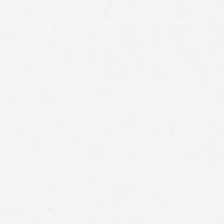H&E stain · 224×224 px tile — Content — no tissue.
